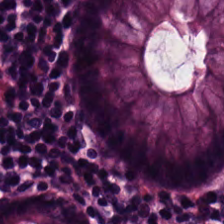Impression — non-neoplastic colon mucosa.
